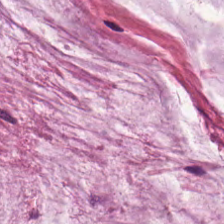{"tissue_type": "extracellular mucin"}
